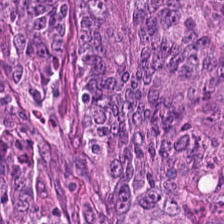WSI patch · hematoxylin and eosin. The predominant tissue is colorectal adenocarcinoma.
